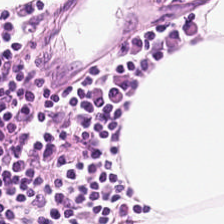H&E — The predominant tissue is fat tissue.
